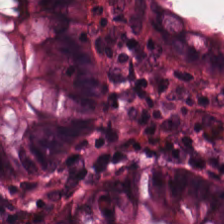0.5 µm per pixel · hematoxylin and eosin · formalin-fixed paraffin-embedded section — Showing benign colonic mucosa.
